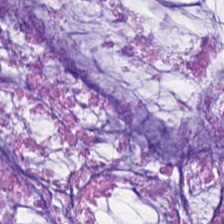H&E-stained tissue section — Finding — mucus.
